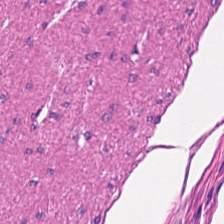H&E-stained tissue section — This patch shows smooth-muscle tissue.
